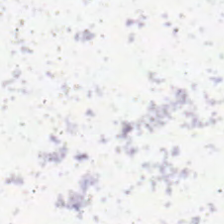Formalin-fixed paraffin-embedded section; H&E. This field is background (no tissue).
